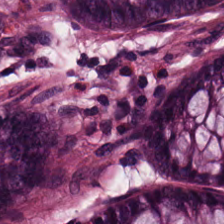0.5 µm/px. H&E.
Tissue type = non-neoplastic colon mucosa.
